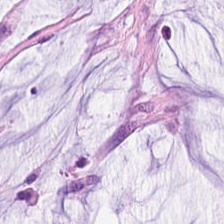H&E-stained tissue section.
Predominant tissue = mucus.
